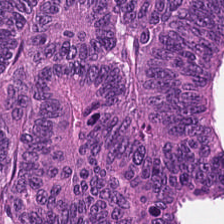Colorectal adenocarcinoma epithelium.
